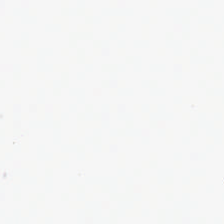H&E stain — Finding — background.
